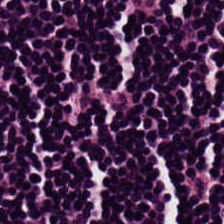Finding — lymphocytic infiltrate.
